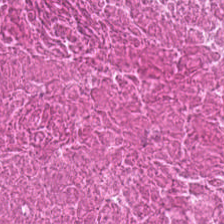Cellular debris.
